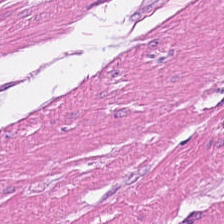Q: What does this patch show?
A: The field shows smooth-muscle tissue.
